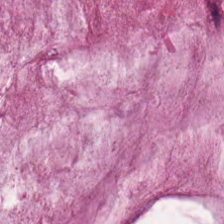H&E — Tissue — mucin.
